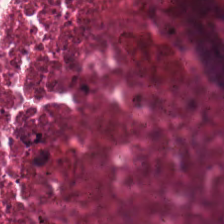Stain: H&E.
Tissue class: debris.
